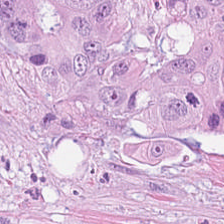Stain: hematoxylin and eosin.
Classification: tumor epithelium.
